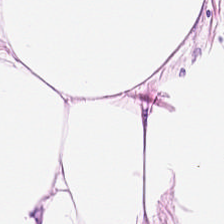Hematoxylin-and-eosin stained section — This field is adipose tissue.
